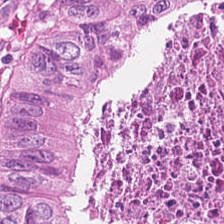H&E. Formalin-fixed paraffin-embedded section.
This field is malignant epithelium.
